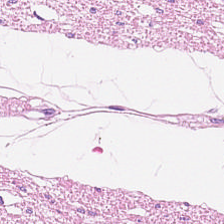Showing smooth-muscle tissue.
